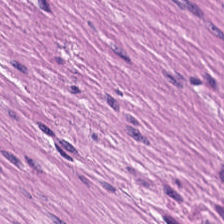Hematoxylin-and-eosin stained section; formalin-fixed paraffin-embedded section.
This field is muscularis.
